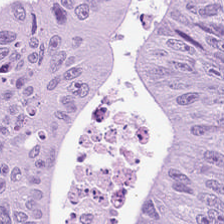0.5 µm per pixel · hematoxylin-and-eosin stained section. Tissue: colorectal adenocarcinoma epithelium.
